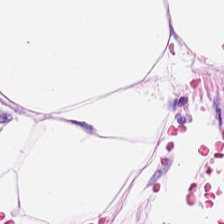FFPE tissue section · hematoxylin and eosin.
This patch shows fat tissue.
